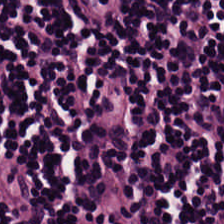0.5 µm/px. H&E-stained tissue section. Classification = lymphocytes.
